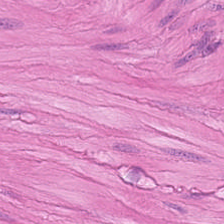H&E-stained tissue section · 224×224 px tile — Q: What is shown in this field?
A: It is muscularis.
